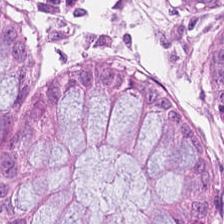Hematoxylin and eosin. Showing non-neoplastic colon mucosa.
